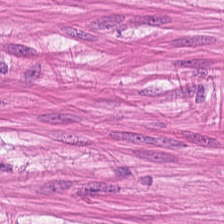H&E-stained tissue section — Impression — muscularis.
